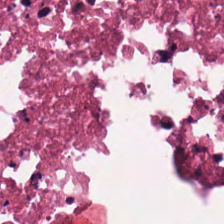H&E stain. 0.5 µm/px. FFPE — Q: Classify this patch.
A: It is necrotic debris.
